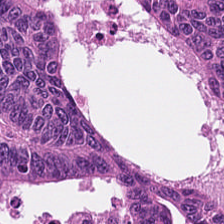FFPE; H&E.
Classification — adenocarcinoma.
